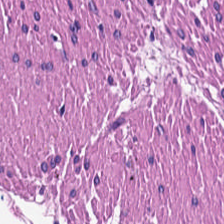Hematoxylin and eosin. Finding — muscularis.
